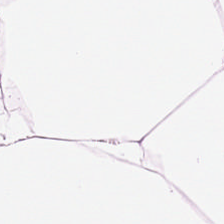Tissue class: adipocytes.
